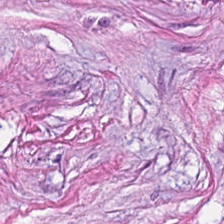WSI patch · H&E stain. The predominant tissue is tumor stroma.
